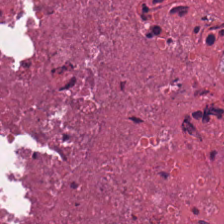H&E — Q: What type of tissue is this?
A: This is necrotic debris.
